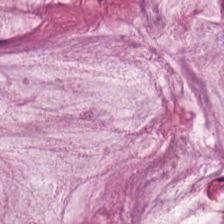H&E-stained tissue section. The tissue here is mucus.
